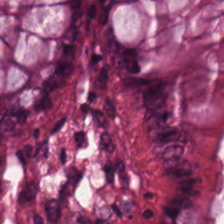Predominant tissue: benign colonic mucosa.
